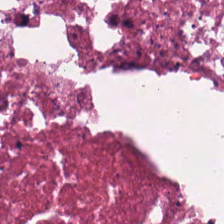H&E stain · 224×224 pixel tile.
The predominant tissue is necrotic debris.
